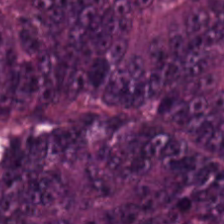Q: What tissue type is shown here?
A: This is colorectal adenocarcinoma epithelium.
